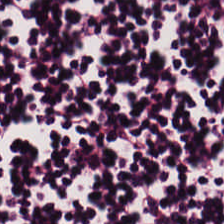Predominant tissue = lymphocyte aggregate.
